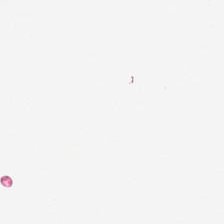224×224 px patch; hematoxylin-and-eosin stained section — Background — no tissue in this field.
